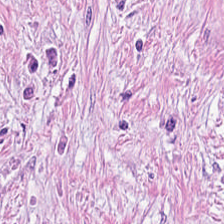Hematoxylin-and-eosin stained section. Showing desmoplastic stroma.
